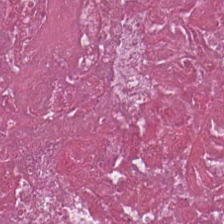Whole-slide-image patch · FFPE · H&E-stained tissue section.
Showing necrotic debris.
